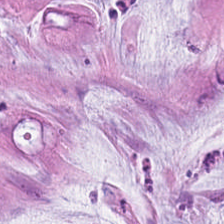224×224 px tile. H&E-stained tissue section.
This patch shows extracellular mucin.
